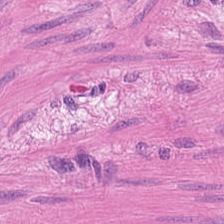FFPE · hematoxylin-and-eosin stained section. The tissue is smooth-muscle tissue.
